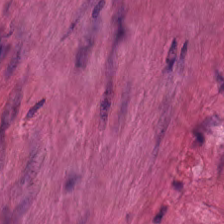224×224 pixel tile · H&E-stained tissue section — {"tissue_type": "smooth muscle"}
